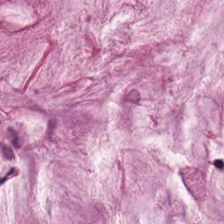Brightfield microscopy · H&E · formalin-fixed paraffin-embedded section. Showing mucus.
